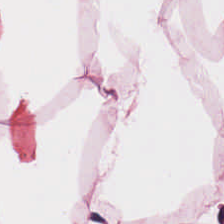H&E stain; brightfield; formalin-fixed paraffin-embedded section.
The tissue here is adipocytes.
